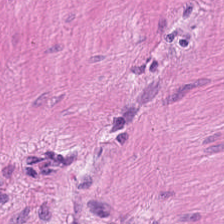Brightfield microscopy. H&E stain.
Q: What tissue is shown?
A: Smooth muscle.
